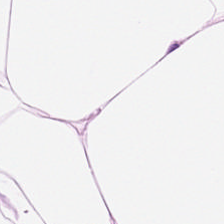Hematoxylin and eosin. {"tissue_type": "adipose"}
